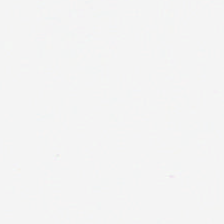Stain: H&E.
Tile size: 224×224 px tile.
Field content: no tissue.
